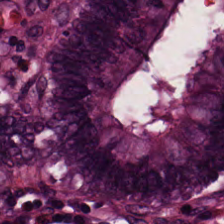Stain: H&E stain.
Tissue: benign colonic mucosa.
